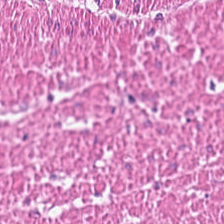H&E stain; FFPE tissue section. This field is smooth-muscle tissue.
